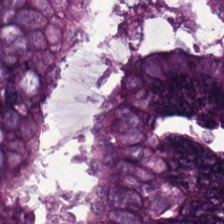Formalin-fixed paraffin-embedded section. Hematoxylin-and-eosin stained section. 224×224 pixel tile. This field is tumor epithelium.
